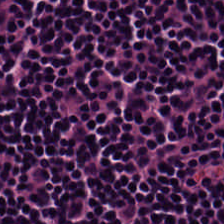H&E stain · 224×224 px tile.
Q: What tissue type is shown here?
A: The field shows lymphocyte aggregate.
